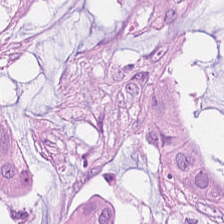Hematoxylin and eosin; 0.5 microns per pixel — Adenocarcinoma.
